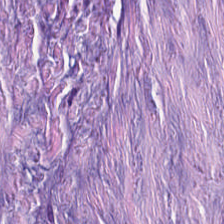H&E. Formalin-fixed paraffin-embedded section. The tissue here is tumor-associated stroma.
